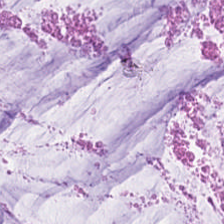Histology — mucus.
